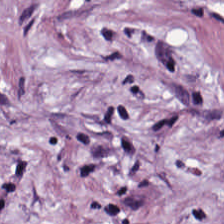The tissue class is tumor-associated stroma.
